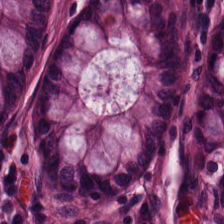WSI patch · hematoxylin-and-eosin stained section · 20× equivalent magnification. Q: What is the predominant tissue type?
A: This is normal colonic mucosa.
